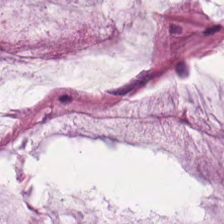224×224 px tile. Hematoxylin and eosin — This patch shows mucus.
